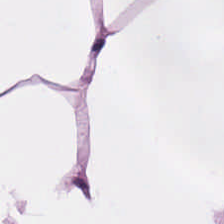Hematoxylin-and-eosin stained section · FFPE tissue section · 0.5 microns per pixel. Tissue type = adipose tissue.
